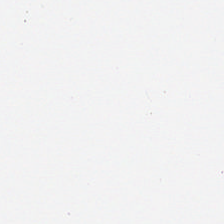Hematoxylin-and-eosin stained section; WSI patch.
Impression → no tissue.
